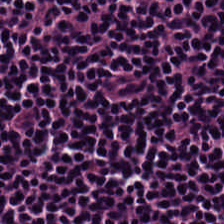H&E-stained tissue section — Classification — lymphocytic infiltrate.
